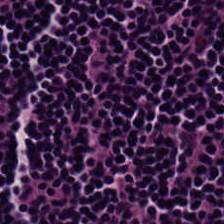Hematoxylin and eosin · 224×224 px tile. This patch shows lymphocytic infiltrate.
